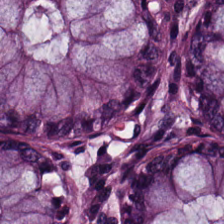FFPE tissue section · 224×224 px patch · H&E stain.
Tissue class: non-neoplastic colon mucosa.
